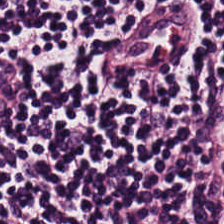Stain: hematoxylin and eosin.
Tissue type: lymphocyte aggregate.
